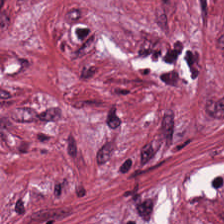H&E stain; 224×224 px patch; formalin-fixed paraffin-embedded section — Classification: cancer-associated stroma.
